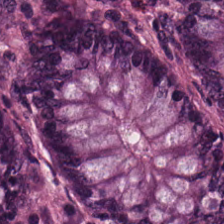224×224 px patch · H&E.
Normal colon mucosa.
